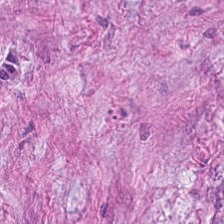224×224 pixel tile. H&E stain — Predominant tissue = cancer-associated stroma.
